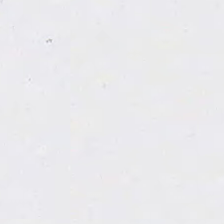This patch shows background (no tissue).
